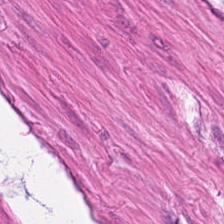The classification is smooth muscle.
